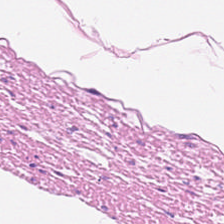This field is smooth muscle.
